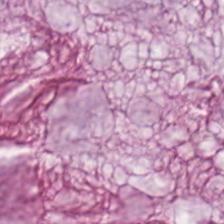Stain: H&E stain.
Classification: mucin.
